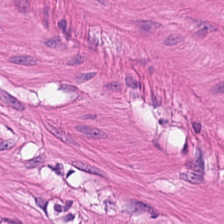H&E-stained tissue section · 0.5 microns per pixel.
Q: What type of tissue is this?
A: This is smooth muscle.
